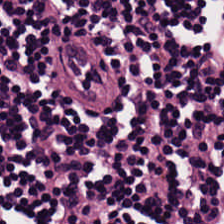Stain: H&E-stained tissue section.
Acquisition: brightfield microscopy.
Tissue type: lymphocytes.
